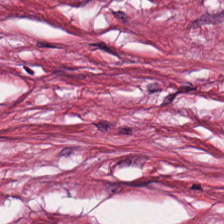Q: What is shown in this field?
A: This is desmoplastic stroma.
